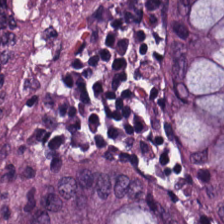The predominant tissue is normal colon mucosa.
